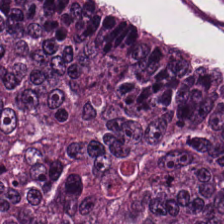This field is tumor epithelium.
